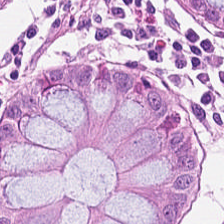0.5 µm/px · H&E stain. Normal colonic mucosa.
